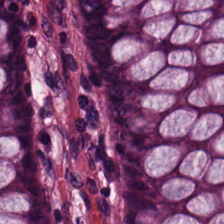H&E stain — Predominantly normal colonic mucosa.
